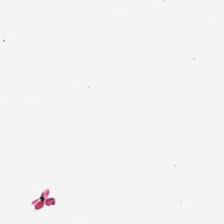Hematoxylin-and-eosin stained section. Q: Classify this patch.
A: It is no tissue.
